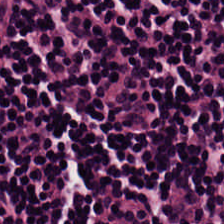224×224 px tile · hematoxylin and eosin.
Finding → lymphocyte aggregate.
